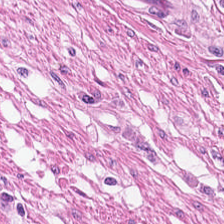H&E — {"tissue_type": "muscularis"}
